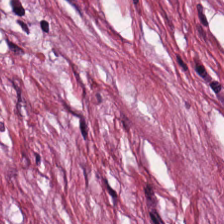H&E patch showing desmoplastic stroma.
